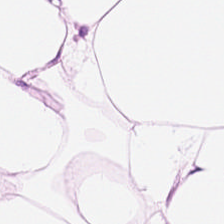The tissue here is adipocytes.
